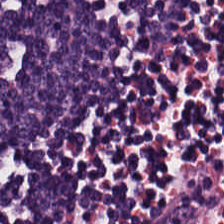Hematoxylin and eosin.
Lymphoid infiltrate.
